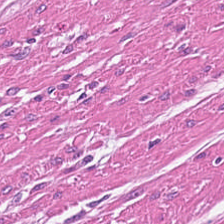H&E stain. Q: What tissue is shown?
A: Smooth muscle.
